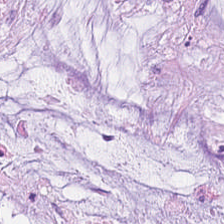H&E-stained section; the field shows mucus.
